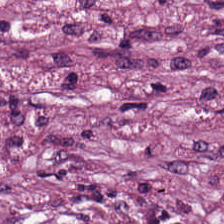Tissue class — cancer-associated stroma.
